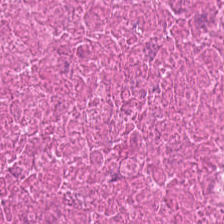H&E stain. Tissue class = necrotic debris.
